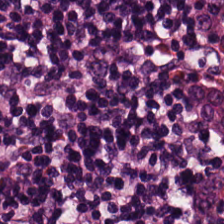H&E-stained tissue section — The predominant tissue is lymphocyte aggregate.
